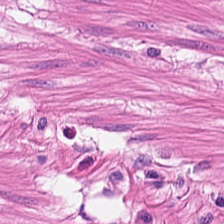Stain: H&E-stained tissue section.
Tissue: smooth-muscle tissue.
